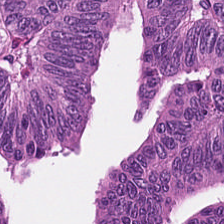H&E-stained tissue section. This patch shows colorectal adenocarcinoma.
